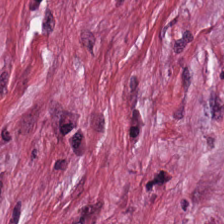Stain: H&E-stained tissue section.
Tissue: tumor-associated stroma.
